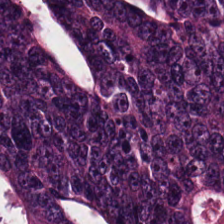H&E — malignant epithelium.
